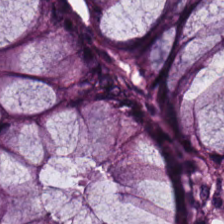Normal colonic mucosa.
